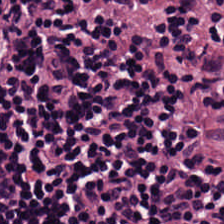Brightfield microscopy; hematoxylin and eosin.
Showing lymphocyte aggregate.
